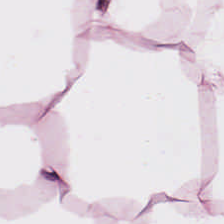WSI patch. H&E stain — Tissue: adipocytes.
